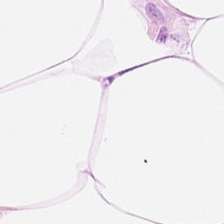H&E.
Predominant tissue = fat tissue.
